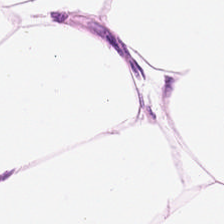Hematoxylin and eosin. Predominantly fat tissue.
